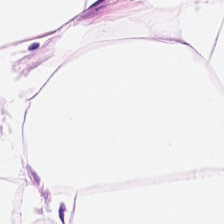Hematoxylin and eosin. Predominantly adipose tissue.
